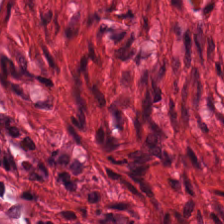Stain: hematoxylin-and-eosin stained section.
Tile size: 224×224 px patch.
Tissue class: muscularis.
